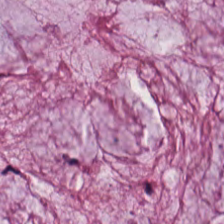H&E-stained tissue section · 0.5 µm per pixel · brightfield.
Q: What tissue is shown?
A: Mucin.
